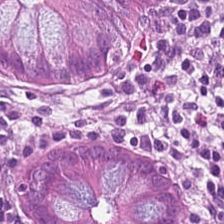Hematoxylin and eosin.
Showing normal colon mucosa.
